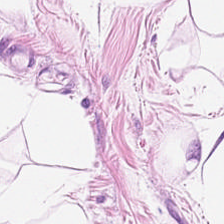Hematoxylin and eosin.
Q: Classify this patch.
A: Adipose tissue.
